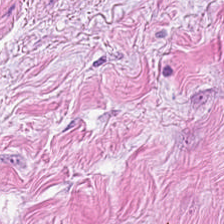Hematoxylin-and-eosin stained section. The tissue type is desmoplastic stroma.
